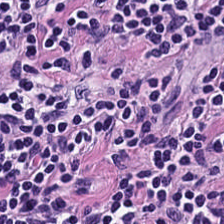This field is lymphoid infiltrate.
